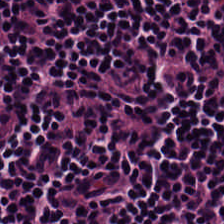The tissue is lymphoid infiltrate.
